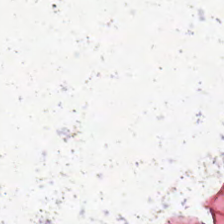Background — no tissue in this field.
